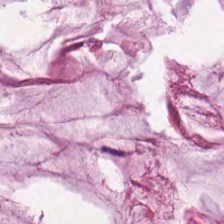Impression — mucus.
